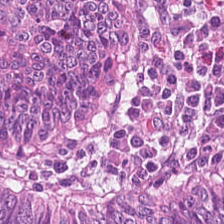H&E stain — Malignant epithelium.
